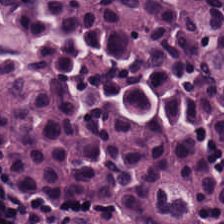Hematoxylin and eosin — {"tissue_type": "lymphocytes"}
